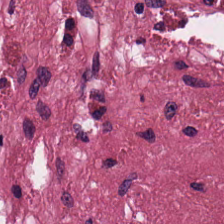Whole-slide-image patch. Hematoxylin and eosin. Histology — tumor-associated stroma.
